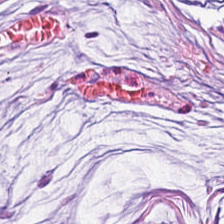H&E stain · 0.5 µm/px — Classification — extracellular mucin.
